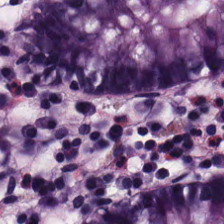H&E — Classification — normal colon mucosa.
